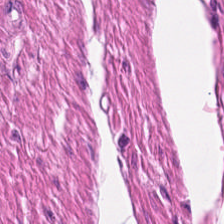Whole-slide-image patch; hematoxylin-and-eosin stained section; 224×224 px patch.
The tissue type is smooth-muscle tissue.
